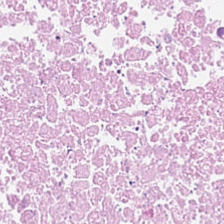Hematoxylin and eosin · WSI patch. Q: What is shown in this field?
A: Debris.
